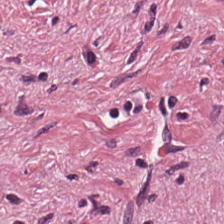H&E. Tumor stroma.
